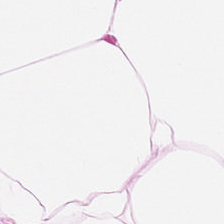Hematoxylin and eosin — Q: Identify the tissue.
A: Fat tissue.
